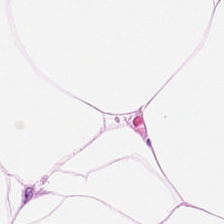H&E. Formalin-fixed paraffin-embedded section. This patch shows adipose.
